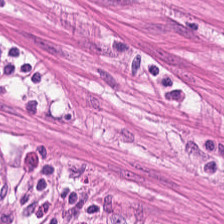H&E-stained section; the field shows smooth-muscle tissue.
